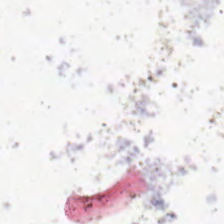H&E-stained tissue section — Background — no tissue in this field.
